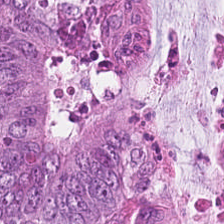Stain: H&E stain.
Preparation: FFPE.
Predominant tissue: tumor epithelium.
